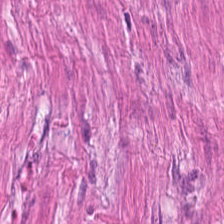Hematoxylin-and-eosin stained section. Predominant tissue: smooth-muscle tissue.
